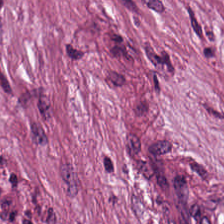Hematoxylin and eosin. The tissue here is tumor stroma.
